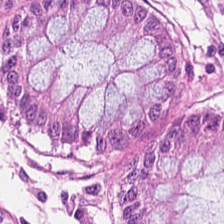H&E stain. Showing normal colon mucosa.
